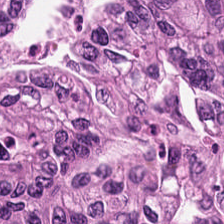224×224 px tile · hematoxylin and eosin — Predominantly malignant epithelium.
